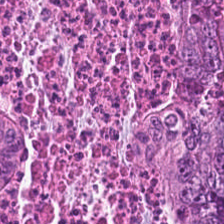Stain: hematoxylin-and-eosin stained section.
Resolution: 20× equivalent magnification.
Tissue: tumor epithelium.
